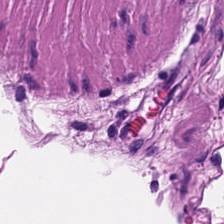Q: What is the predominant tissue type?
A: Smooth-muscle tissue.
